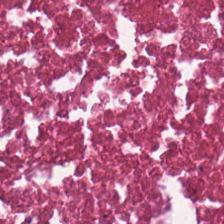224×224 pixel tile. Hematoxylin-and-eosin stained section.
Debris.
